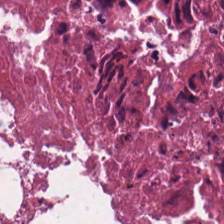This patch shows necrotic debris.
